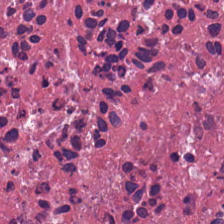Showing cellular debris.
